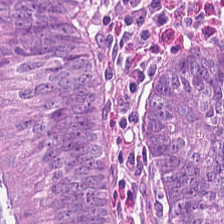Hematoxylin and eosin. Impression → colorectal adenocarcinoma epithelium.
